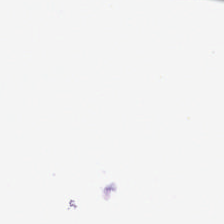Background — no tissue in this field.
